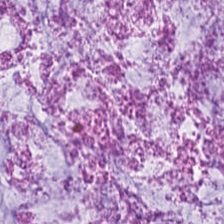H&E-stained tissue section — Classification — mucin.
